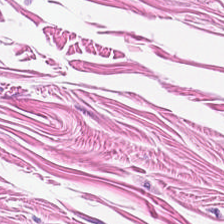H&E-stained tissue section · 0.5 microns per pixel · WSI patch.
Impression → smooth muscle.
